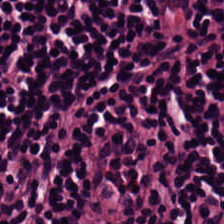H&E-stained tissue section.
The classification is lymphoid infiltrate.
